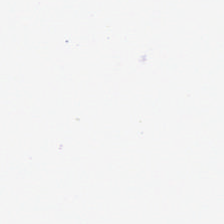0.5 microns per pixel · 224×224 px patch · H&E stain — Finding — empty background.
